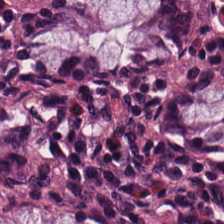0.5 µm/px. Whole-slide-image patch. H&E stain — Classification = benign colonic mucosa.
